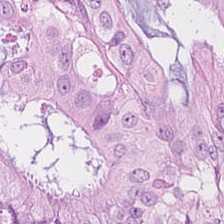Finding → tumor epithelium.
